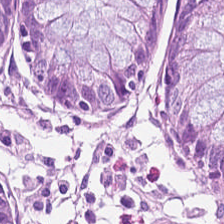Hematoxylin and eosin.
Histology → benign colonic mucosa.
